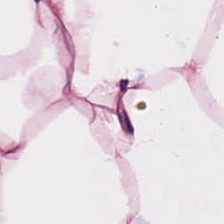Whole-slide-image patch; H&E stain. Tissue type = adipose.
